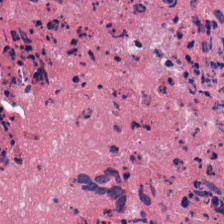H&E-stained tissue section. Impression — debris.
